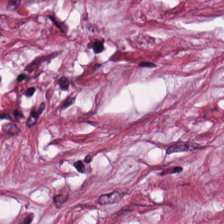H&E; whole-slide-image patch. Q: What type of tissue is this?
A: This is tumor stroma.
